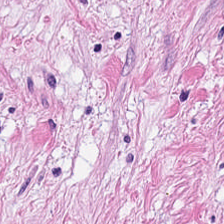Finding — tumor stroma.
